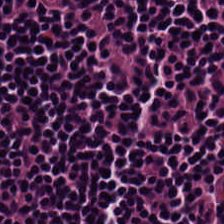Brightfield; H&E-stained tissue section; 224×224 px patch.
Histology → lymphocytes.
